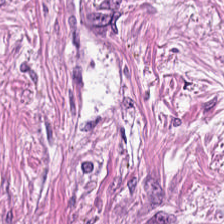H&E — This patch shows tumor-associated stroma.
